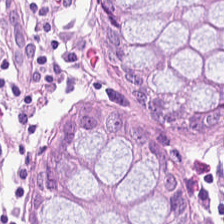H&E.
Normal colonic mucosa.
